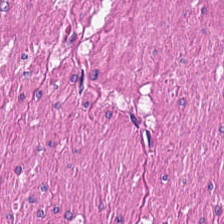Hematoxylin-and-eosin section: smooth-muscle tissue.
